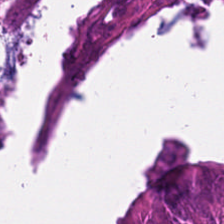Finding — adenocarcinoma.
